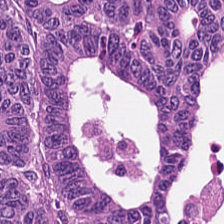FFPE. Hematoxylin-and-eosin stained section.
Tissue class = colorectal adenocarcinoma epithelium.
